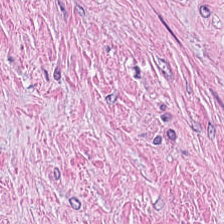Hematoxylin-and-eosin stained section. Formalin-fixed paraffin-embedded section. 224×224 pixel tile. The tissue here is tumor stroma.
